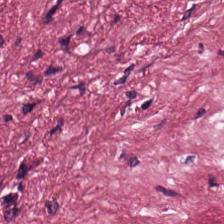FFPE · H&E-stained tissue section.
Finding — tumor-associated stroma.
